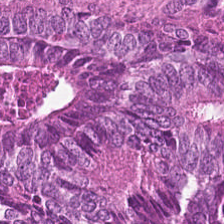Stain: H&E.
Acquisition: whole-slide-image patch.
Resolution: 0.5 microns per pixel.
Tissue type: colorectal adenocarcinoma.
